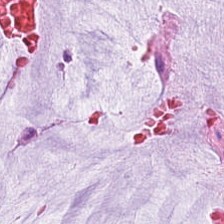H&E-stained tissue section showing extracellular mucin.
